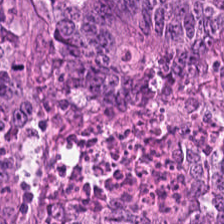H&E-stained tissue section. FFPE tissue section. Brightfield microscopy. Finding — tumor epithelium.
